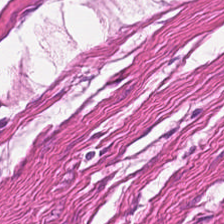Hematoxylin and eosin. The tissue here is smooth muscle.
